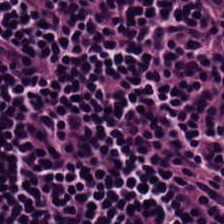Hematoxylin-and-eosin stained section; formalin-fixed paraffin-embedded section — Classification: lymphoid infiltrate.
